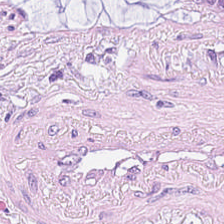Finding → mucin.
